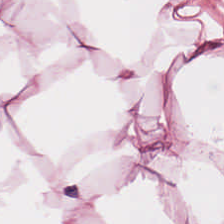224×224 px patch. FFPE tissue section. Hematoxylin and eosin. The tissue is adipocytes.
